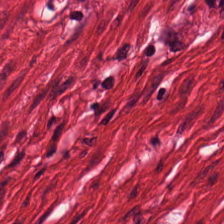H&E · whole-slide-image patch. Predominantly smooth-muscle tissue.
